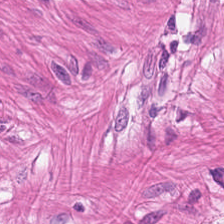Formalin-fixed paraffin-embedded section · H&E stain.
Tissue class = muscularis.
